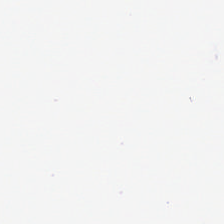H&E stain. Brightfield — Content — background.
